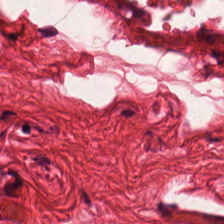Brightfield; H&E; 0.5 microns per pixel.
Impression — smooth muscle.
